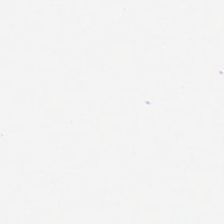H&E-stained tissue section — Empty field — background (no tissue).
